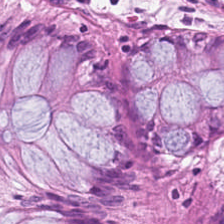H&E-stained tissue section.
Normal colonic mucosa.
